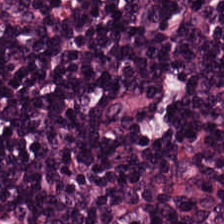224×224 px tile. H&E-stained tissue section. {"tissue_type": "lymphocytic infiltrate"}
